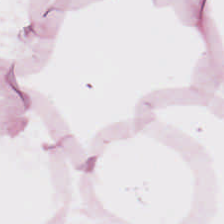Q: What is shown in this field?
A: This is adipose.
